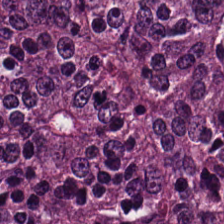Hematoxylin and eosin. Brightfield. 20× equivalent magnification.
Tissue class: malignant epithelium.
